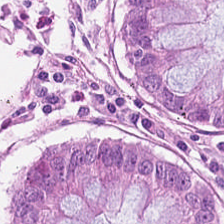Stain: hematoxylin-and-eosin stained section.
Tissue: non-neoplastic colon mucosa.
